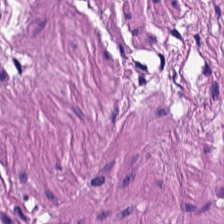H&E; formalin-fixed paraffin-embedded section.
Showing muscularis.
